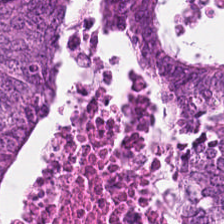H&E — Q: Classify this patch.
A: It is colorectal adenocarcinoma.
